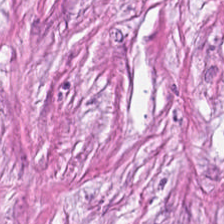Stain: hematoxylin and eosin.
Predominant tissue: cancer-associated stroma.
